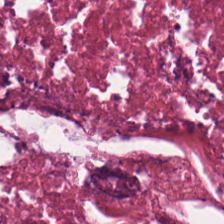Tissue type: cellular debris.
